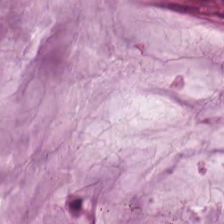The predominant tissue is mucus.
